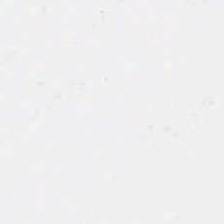Content — background.
